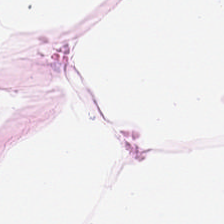Hematoxylin and eosin — Classification: fat tissue.
